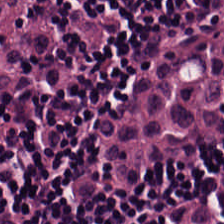Stain: H&E stain.
Tile size: 224×224 px patch.
Tissue class: lymphocyte aggregate.
